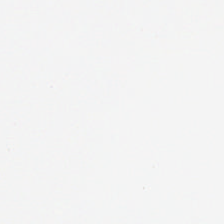Hematoxylin-and-eosin stained section — Empty field — no tissue.
